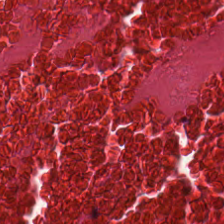H&E stain; whole-slide-image patch; 0.5 µm/px. {"tissue_type": "debris"}
